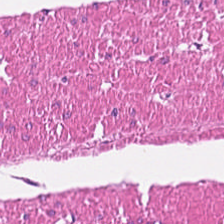Hematoxylin and eosin. Histology → muscularis.
